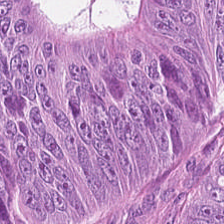This field is colorectal adenocarcinoma epithelium.
